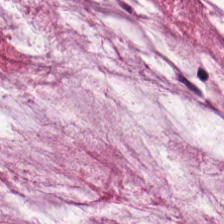FFPE. Hematoxylin and eosin.
Predominantly extracellular mucin.
